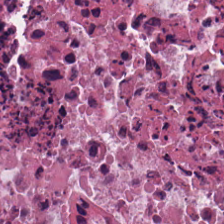0.5 microns per pixel. Hematoxylin and eosin. 224×224 pixel tile. Impression — necrotic debris.
